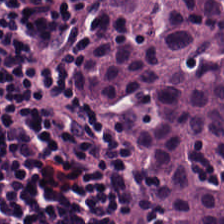Tissue: lymphoid infiltrate.
